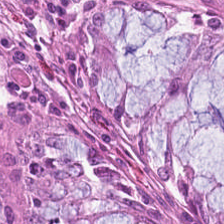Hematoxylin-and-eosin stained section — This patch shows normal colon mucosa.
